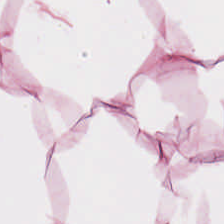The tissue class is adipocytes.
